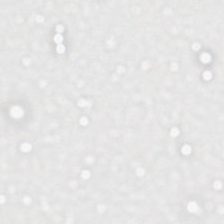H&E · WSI patch — Finding → background.
